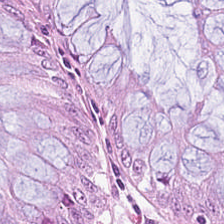Hematoxylin-and-eosin stained section; 0.5 microns per pixel — This field is non-neoplastic colon mucosa.
